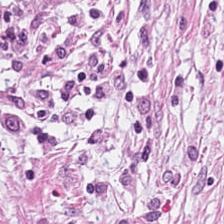Hematoxylin and eosin.
The predominant tissue is tumor-associated stroma.
